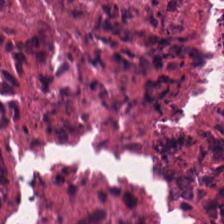Hematoxylin-and-eosin stained section. Q: Classify this patch.
A: The field shows cellular debris.
